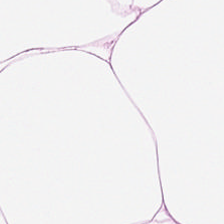This patch shows fat tissue.
